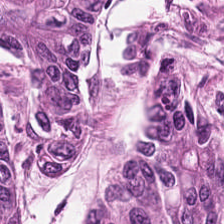Hematoxylin-and-eosin stained section.
{"tissue_type": "adenocarcinoma"}
